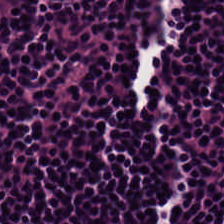Stain: H&E-stained tissue section.
Predominant tissue: lymphocyte aggregate.
